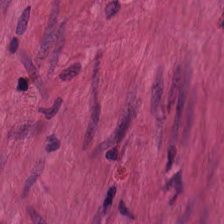H&E-stained tissue section showing smooth muscle.
